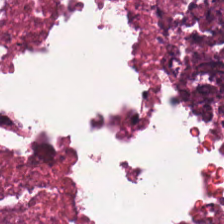224×224 pixel tile; H&E-stained tissue section — This field is debris.
